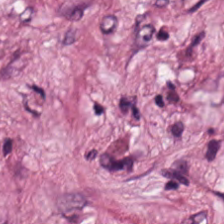Q: What is the predominant tissue type?
A: This is desmoplastic stroma.
